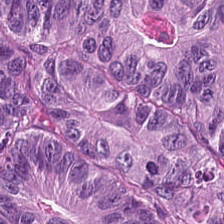H&E — Finding → adenocarcinoma.
